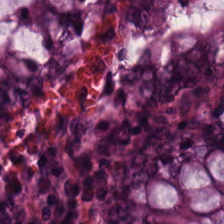Hematoxylin-and-eosin stained section — Benign colonic mucosa.
